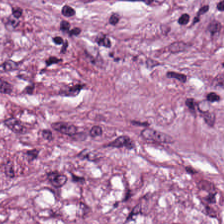{"tissue_type": "cancer-associated stroma"}
